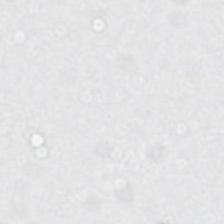Histology — no tissue.
